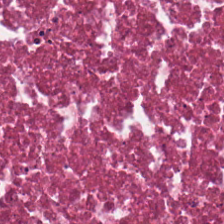224×224 px patch; hematoxylin-and-eosin stained section — Tissue — cellular debris.
